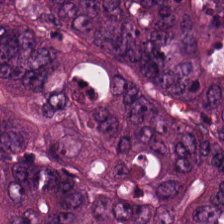H&E — adenocarcinoma.
